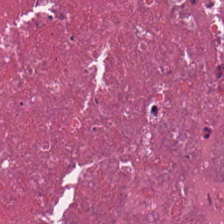Classification — necrotic debris.
